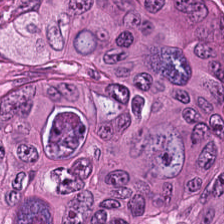Hematoxylin and eosin — Q: What type of tissue is this?
A: The field shows malignant epithelium.
